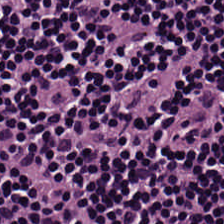Stain: H&E.
Tissue class: lymphocytes.
